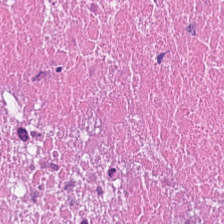H&E-stained tissue section; 0.5 µm/px.
Q: What tissue is shown?
A: The field shows debris.
